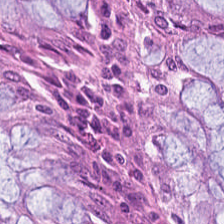Stain: H&E.
Preparation: FFPE.
Tissue: non-neoplastic colon mucosa.
